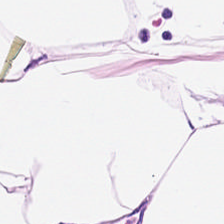Histology — adipose.
